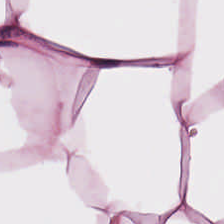Predominantly adipose.
